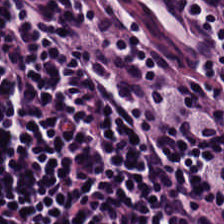H&E-stained tissue section. 224×224 px patch. 20× equivalent magnification — This patch shows lymphoid infiltrate.
